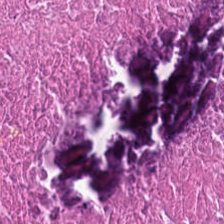Histology → cellular debris.
